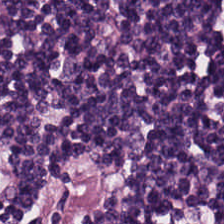Hematoxylin and eosin. Lymphoid infiltrate.
